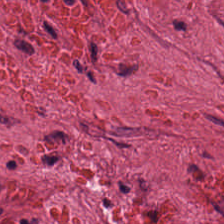H&E-stained tissue section.
Tissue type — desmoplastic stroma.
